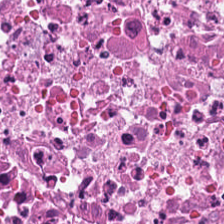FFPE tissue section · hematoxylin-and-eosin stained section.
This patch shows cellular debris.
